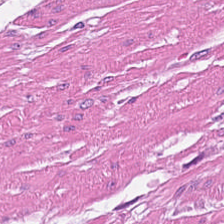H&E-stained tissue section. 224×224 px tile — Q: Identify the tissue.
A: This is smooth-muscle tissue.
